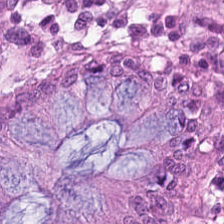Tissue class — normal colon mucosa.
